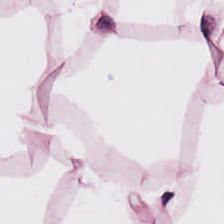Q: Classify this patch.
A: The field shows adipocytes.
